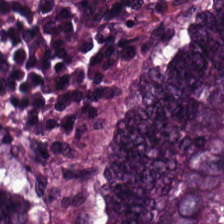Tissue class = colorectal adenocarcinoma epithelium.
